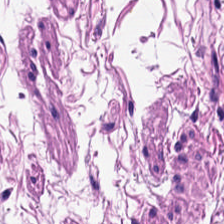Stain: H&E stain.
Acquisition: brightfield.
Resolution: 0.5 µm per pixel.
Predominant tissue: smooth muscle.
